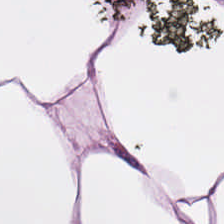224×224 pixel tile. Hematoxylin and eosin.
Finding — adipose.
